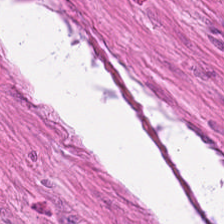H&E. Finding — smooth-muscle tissue.
